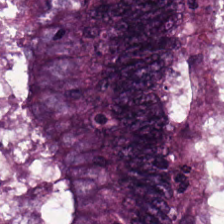H&E-stained tissue section. Histology → adenocarcinoma.
